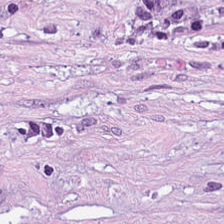224×224 px patch. H&E. Histology → tumor-associated stroma.
